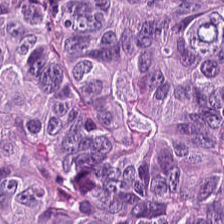Formalin-fixed paraffin-embedded section · hematoxylin-and-eosin stained section — The tissue here is colorectal adenocarcinoma.
